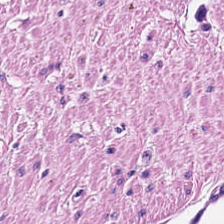Brightfield microscopy. H&E.
Showing smooth-muscle tissue.
